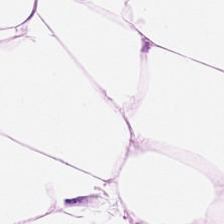Hematoxylin-and-eosin stained section.
Finding → adipose.
